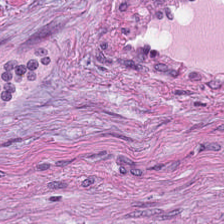Hematoxylin and eosin. Predominant tissue: tumor stroma.
